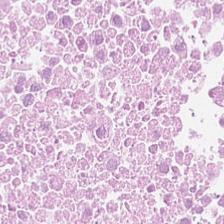Hematoxylin-and-eosin stained section.
Showing cellular debris.
